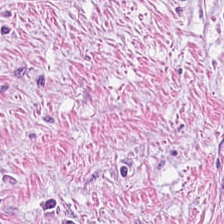This field is tumor stroma.
